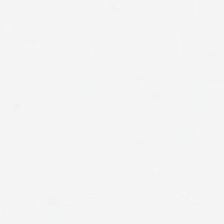Brightfield; hematoxylin-and-eosin stained section.
Field content: background (no tissue).
